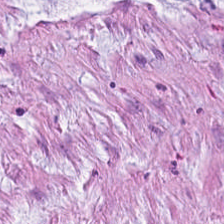H&E-stained tissue section. Tissue — extracellular mucin.
